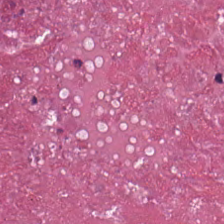WSI patch. H&E.
The predominant tissue is debris.
